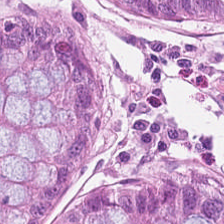Predominant tissue — normal colon mucosa.
